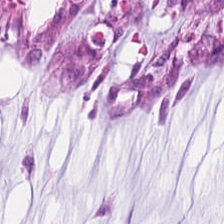H&E stain — Tissue type = mucin.
